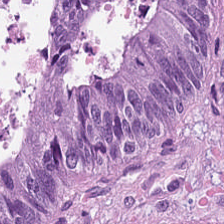H&E stain.
Tissue = malignant epithelium.
